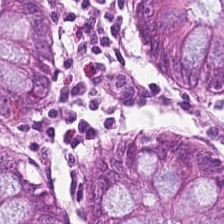Brightfield · hematoxylin and eosin. {"tissue_type": "normal colon mucosa"}
